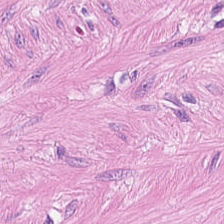224×224 pixel tile; hematoxylin and eosin.
This patch shows smooth-muscle tissue.
